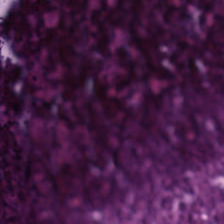H&E-stained tissue section. Predominantly debris.
